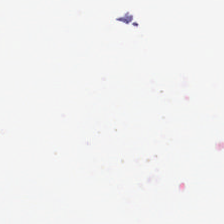H&E stain — This field is background (no tissue).
